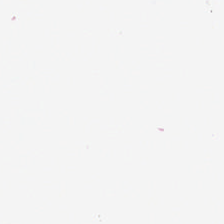H&E. The classification is background.
